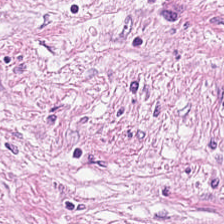H&E-stained tissue section. Whole-slide-image patch — Q: What type of tissue is this?
A: The field shows tumor stroma.
